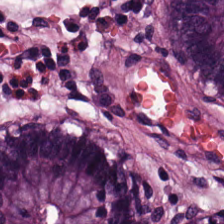Tissue — normal colonic mucosa.
